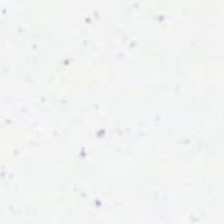Classification = empty background.
